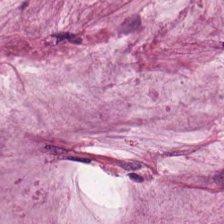224×224 pixel tile · H&E-stained tissue section · WSI patch. Mucus.
